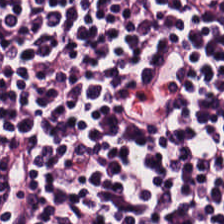Hematoxylin and eosin. {"tissue_type": "lymphocytic infiltrate"}
